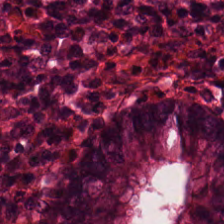Hematoxylin-and-eosin stained section; FFPE tissue section — Tissue: benign colonic mucosa.
